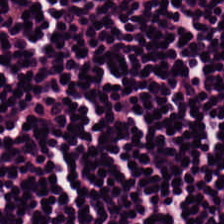Q: What is shown in this field?
A: This is lymphocyte aggregate.
